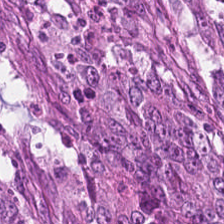H&E stain. 224×224 pixel tile. Q: What is the predominant tissue type?
A: It is colorectal adenocarcinoma.
